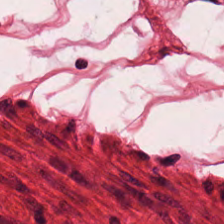Hematoxylin-and-eosin stained section. Showing muscularis.
